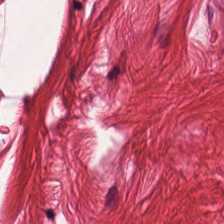This field is muscularis.
